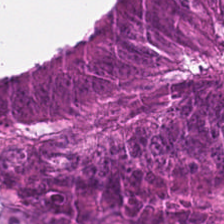H&E. Predominant tissue — colorectal adenocarcinoma epithelium.
